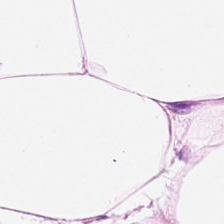Histology → adipocytes.
